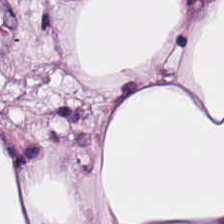Hematoxylin and eosin · brightfield microscopy. Adipose.
